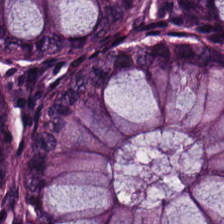H&E-stained tissue section. The predominant tissue is normal colon mucosa.
